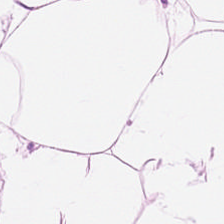H&E-stained tissue section; 20× equivalent magnification. Q: Classify this patch.
A: The field shows fat tissue.
